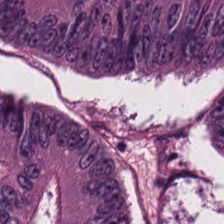H&E-stained tissue section. Q: What is shown in this field?
A: It is tumor epithelium.
